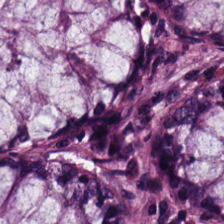20× equivalent magnification · hematoxylin-and-eosin stained section.
Finding — normal colon mucosa.
